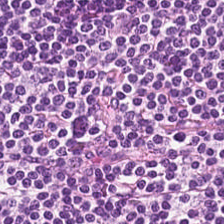Stain: H&E.
Tissue class: lymphocyte aggregate.
